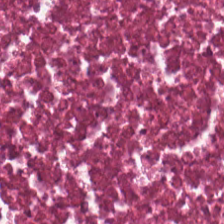H&E stain. Tissue class — debris.
